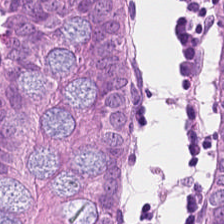Finding → normal colonic mucosa.
